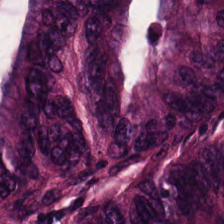Whole-slide-image patch. Hematoxylin and eosin. Predominant tissue — tumor epithelium.
